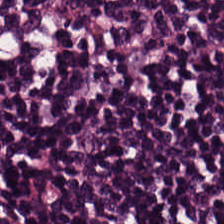H&E-stained tissue section; FFPE — Predominant tissue — lymphocyte aggregate.
